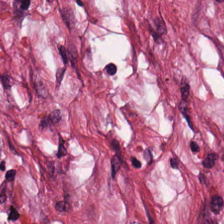Hematoxylin and eosin. The tissue here is cancer-associated stroma.
